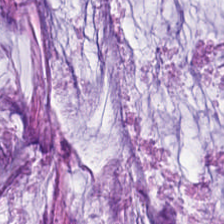H&E. Brightfield microscopy. 224×224 px patch.
The tissue here is mucus.
